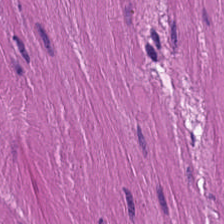H&E.
Q: What type of tissue is this?
A: The field shows smooth-muscle tissue.
